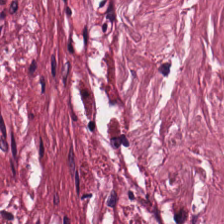Hematoxylin and eosin. This patch shows desmoplastic stroma.
